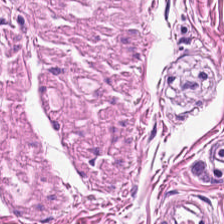H&E stain — The tissue here is muscularis.
